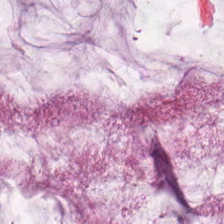Stain: H&E-stained tissue section.
Tissue class: mucin.
